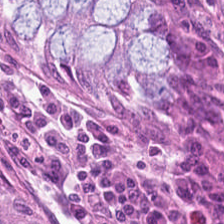H&E-stained tissue section showing normal colon mucosa.
